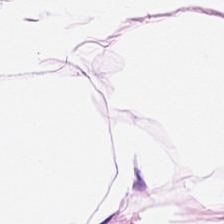Hematoxylin-and-eosin stained section.
This patch shows adipose.
